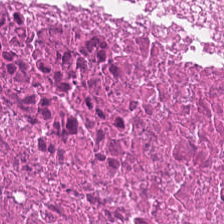Hematoxylin and eosin — Predominantly necrotic debris.
